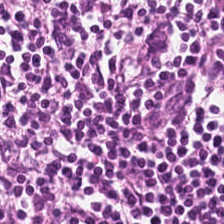Hematoxylin-and-eosin stained section. 20× equivalent magnification. Whole-slide-image patch.
{"tissue_type": "lymphocyte aggregate"}
